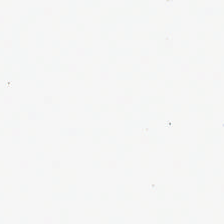H&E — Q: What does this patch show?
A: It is background (no tissue).
